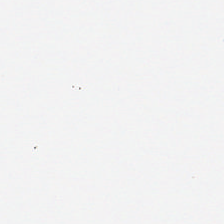H&E.
This patch shows no tissue.
